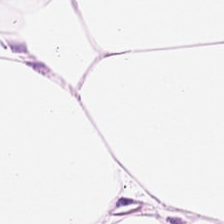H&E — adipose.
